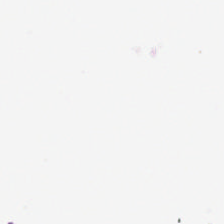Stain: H&E.
Content: background.
